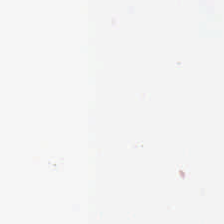{"content": "background"}
